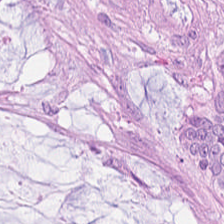Hematoxylin-and-eosin section: adenocarcinoma.
